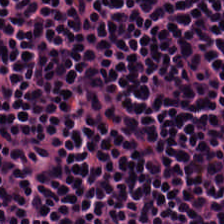Hematoxylin and eosin. 20× equivalent magnification — Q: Identify the tissue.
A: Lymphocytic infiltrate.
